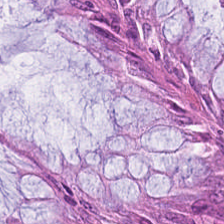The tissue here is non-neoplastic colon mucosa.
